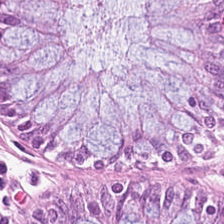H&E-stained tissue section — {"tissue_type": "normal colonic mucosa"}
